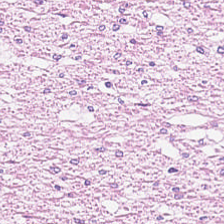Stain: H&E stain.
Tissue: muscularis.
